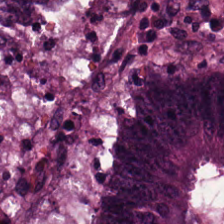Hematoxylin-and-eosin stained section. The tissue here is colorectal adenocarcinoma epithelium.
